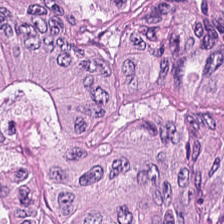H&E-stained tissue section. Predominantly malignant epithelium.
